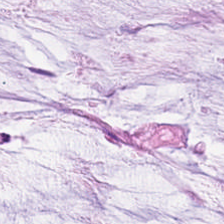H&E-stained tissue section; whole-slide-image patch.
Finding — extracellular mucin.
